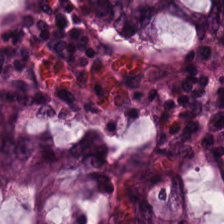FFPE; hematoxylin and eosin.
Predominantly benign colonic mucosa.
